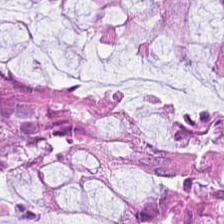Hematoxylin-and-eosin stained section · FFPE.
{"tissue_type": "normal colonic mucosa"}
